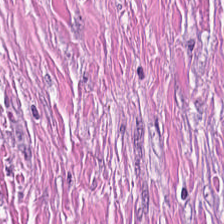Q: What is shown in this field?
A: Desmoplastic stroma.
